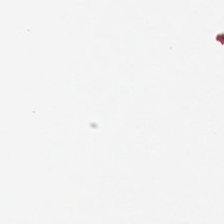Background.
